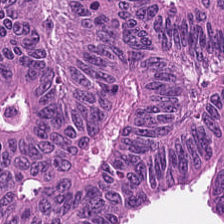Q: Classify this patch.
A: Colorectal adenocarcinoma.
